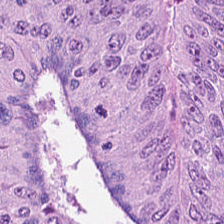Hematoxylin-and-eosin stained section — Q: What is shown here?
A: Colorectal adenocarcinoma.
